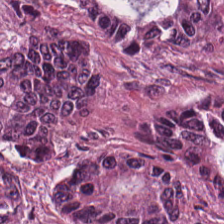Finding → colorectal adenocarcinoma.
